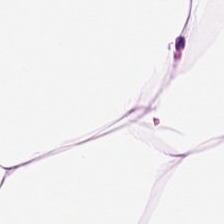Stain: hematoxylin-and-eosin stained section.
Preparation: FFPE tissue section.
Predominant tissue: adipose tissue.
